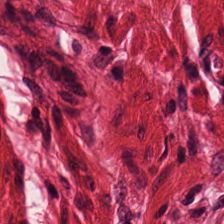H&E stain. This patch shows smooth muscle.
